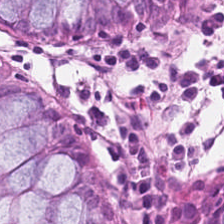H&E stain — Tissue class = normal colon mucosa.
